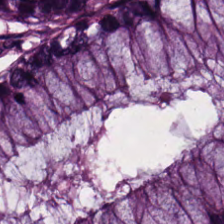Q: What tissue is shown?
A: This is normal colon mucosa.
